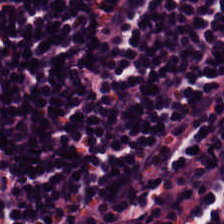H&E patch showing lymphocytic infiltrate.
